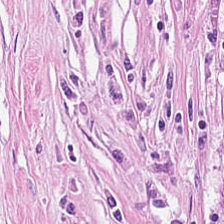Predominantly desmoplastic stroma.
